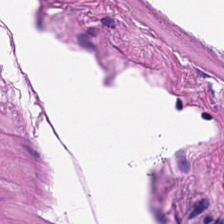Tissue type = muscularis.
